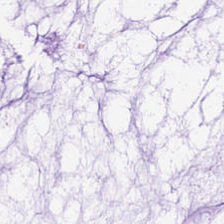H&E-stained tissue section — The tissue here is mucin.
